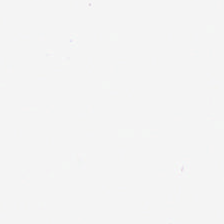H&E-stained tissue section; 20× equivalent magnification. Q: What does this patch show?
A: This is background (no tissue).
